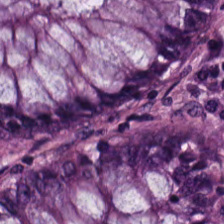Hematoxylin and eosin.
This field is non-neoplastic colon mucosa.
